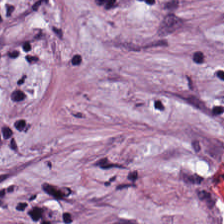Hematoxylin-and-eosin stained section — This patch shows cancer-associated stroma.
